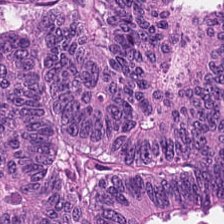Q: What is the predominant tissue type?
A: The field shows adenocarcinoma.
